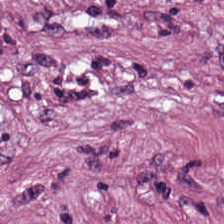H&E — This field is tumor-associated stroma.
